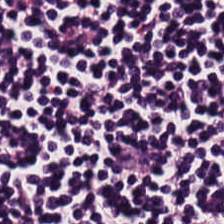Hematoxylin-and-eosin stained section; 0.5 microns per pixel. Classification: lymphocytic infiltrate.
